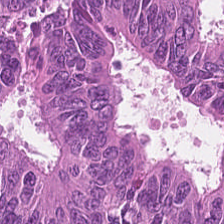Hematoxylin and eosin. Whole-slide-image patch. 224×224 pixel tile.
The predominant tissue is adenocarcinoma.
